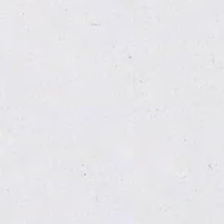H&E stain; FFPE tissue section. Empty field — no tissue.
